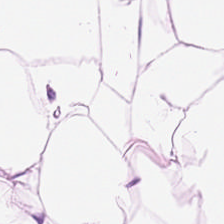224×224 px tile · hematoxylin and eosin — The tissue is adipose.
